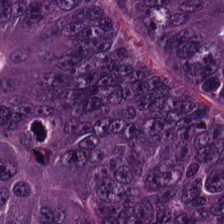Hematoxylin-and-eosin stained section. Tissue class = adenocarcinoma.
